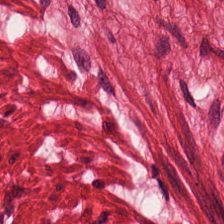H&E-stained tissue section; 0.5 µm/px; 224×224 px patch. Q: Classify this patch.
A: It is smooth muscle.
